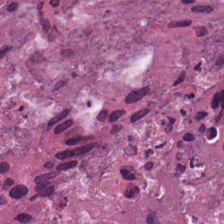Hematoxylin-and-eosin stained section. 0.5 µm per pixel. Formalin-fixed paraffin-embedded section. Q: What tissue is shown?
A: This is cellular debris.
